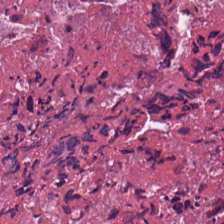224×224 px tile · hematoxylin and eosin · formalin-fixed paraffin-embedded section. Finding → necrotic debris.
